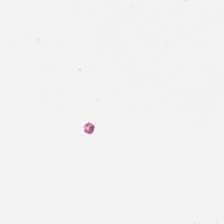Hematoxylin-and-eosin stained section; formalin-fixed paraffin-embedded section; 0.5 µm/px. Impression → empty background.
